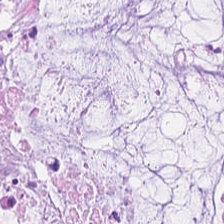20× equivalent magnification. Hematoxylin-and-eosin stained section.
Predominant tissue = mucin.
